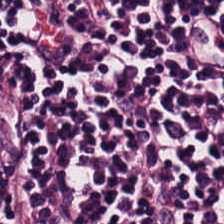Stain: H&E-stained tissue section.
Tissue: lymphoid infiltrate.
